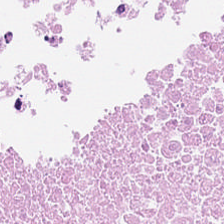{"tissue_type": "cellular debris"}
